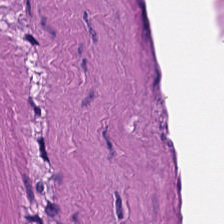0.5 µm/px · hematoxylin-and-eosin stained section · 224×224 px tile.
Smooth muscle.
